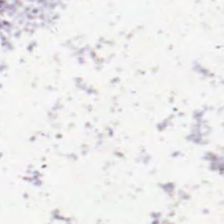H&E-stained tissue section. 224×224 pixel tile. FFPE.
Background — no tissue in this field.
